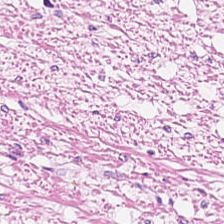Classification — smooth muscle.
